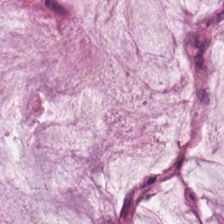{"tissue_type": "mucus"}
